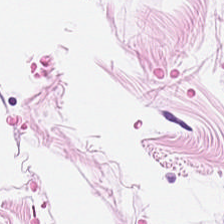H&E-stained tissue section; brightfield.
Q: Identify the tissue.
A: Adipocytes.
